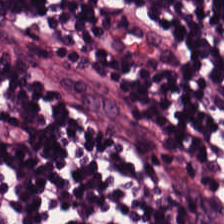Hematoxylin-and-eosin stained section. 224×224 px patch — Finding — lymphoid infiltrate.
